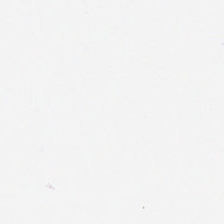Hematoxylin-and-eosin stained section · 0.5 µm/px. Q: What is the predominant tissue type?
A: Adipocytes.
